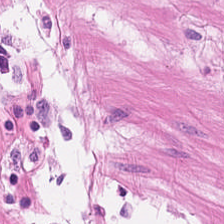H&E stain. Q: What tissue type is shown here?
A: Muscularis.
